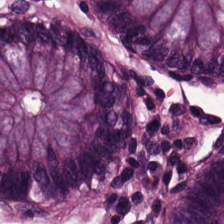H&E stain.
Histology — normal colonic mucosa.
